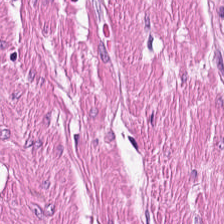FFPE. H&E stain — {"tissue_type": "smooth-muscle tissue"}
